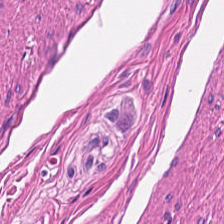Hematoxylin-and-eosin stained section. Q: What tissue type is shown here?
A: It is smooth muscle.
